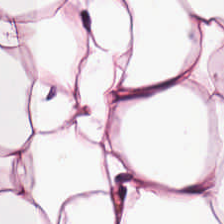Tissue: adipose.
